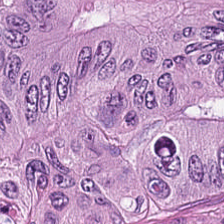Hematoxylin-and-eosin stained section. The tissue class is tumor epithelium.
